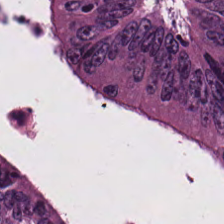Hematoxylin-and-eosin stained section — Q: What tissue is shown?
A: It is malignant epithelium.
